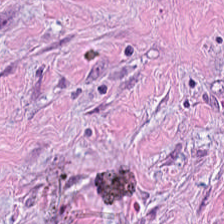Hematoxylin-and-eosin stained section. Classification — desmoplastic stroma.
